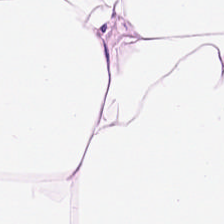Whole-slide-image patch. H&E-stained tissue section — Fat tissue.
